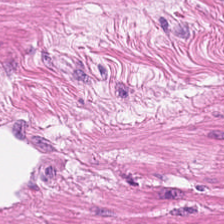The predominant tissue is smooth-muscle tissue.
